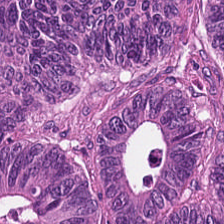Stain: H&E-stained tissue section.
Tissue class: adenocarcinoma.
